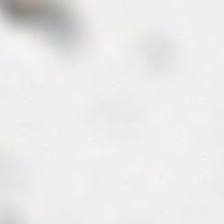Hematoxylin-and-eosin stained section · 0.5 microns per pixel. Q: What is shown in this field?
A: This is background.
